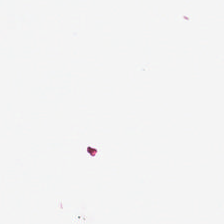224×224 px patch; formalin-fixed paraffin-embedded section; hematoxylin and eosin.
Background — no tissue in this field.
